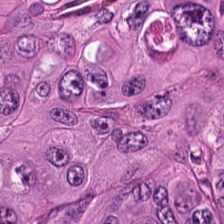Brightfield microscopy; H&E-stained tissue section — Histology → tumor epithelium.
